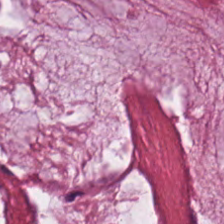H&E-stained tissue section.
Tissue class = mucus.
